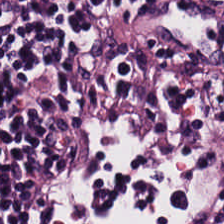Histology — lymphocyte aggregate.
